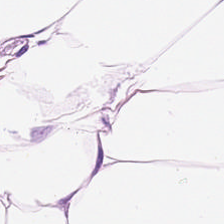Hematoxylin and eosin. Impression → adipocytes.
